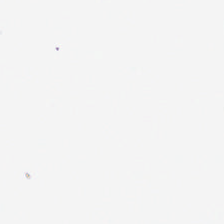H&E-stained tissue section. FFPE. The classification is background.
